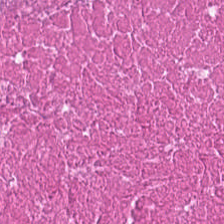H&E stain. The predominant tissue is necrotic debris.
